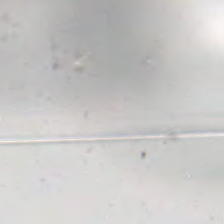Content = empty background.
